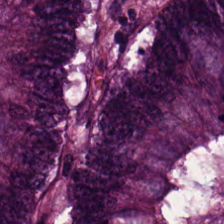This field is colorectal adenocarcinoma.
